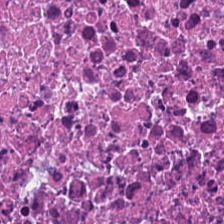Classification: necrotic debris.
